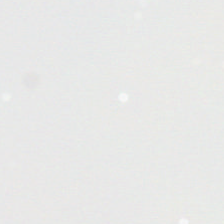H&E. Histology → background.
